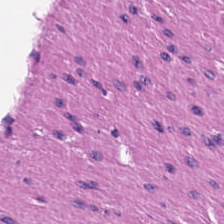Stain: H&E stain.
Tissue type: muscularis.
